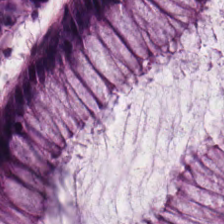Tissue class = normal colonic mucosa.
